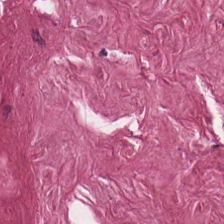Hematoxylin-and-eosin section: tumor-associated stroma.
